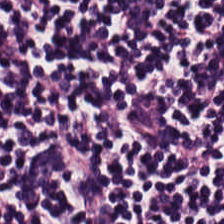Stain: hematoxylin and eosin.
Predominant tissue: lymphocyte aggregate.
